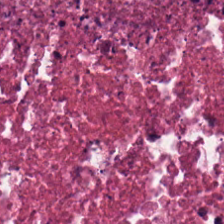H&E-stained tissue section — Tissue class — cellular debris.
